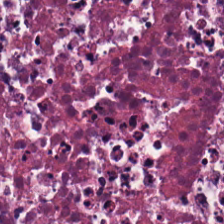H&E stain.
Predominantly debris.
